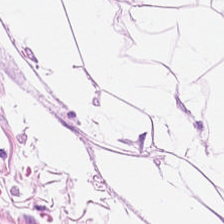Stain: hematoxylin and eosin.
Tissue type: adipose.
